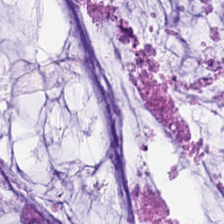H&E stain; 224×224 pixel tile; FFPE tissue section. The tissue type is extracellular mucin.
